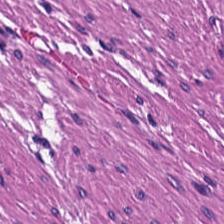H&E stain. The tissue class is smooth muscle.
